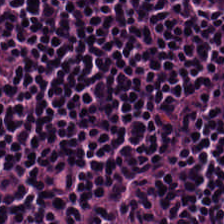H&E stain.
The tissue class is lymphocyte aggregate.
